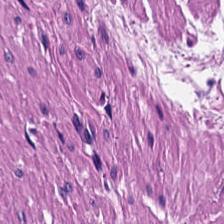224×224 pixel tile; 0.5 µm per pixel; H&E-stained tissue section — The tissue here is smooth muscle.
